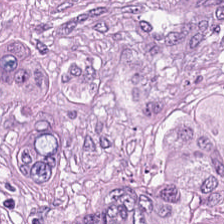H&E.
The predominant tissue is colorectal adenocarcinoma.
